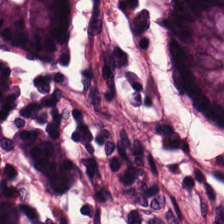Stain: hematoxylin and eosin.
Tile size: 224×224 px tile.
Predominant tissue: non-neoplastic colon mucosa.
